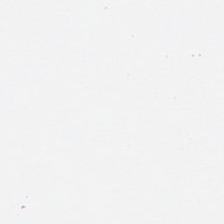H&E-stained tissue section · 0.5 µm/px. Classification = background (no tissue).
